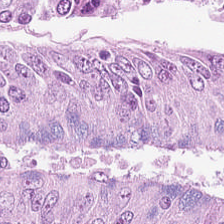Hematoxylin and eosin. 224×224 px tile.
Predominantly malignant epithelium.
